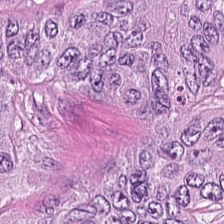Hematoxylin and eosin.
Impression → malignant epithelium.
